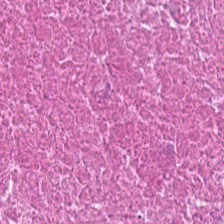{"tissue_type": "debris"}
